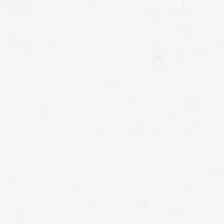Q: Classify this patch.
A: The field shows background.
